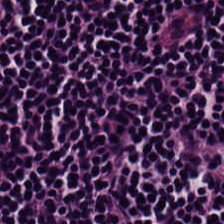The tissue is lymphoid infiltrate.
